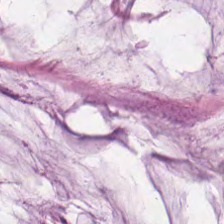0.5 µm per pixel · H&E stain. Q: What is shown in this field?
A: Mucus.
